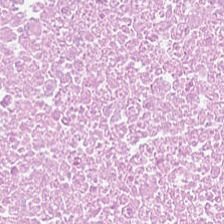H&E-stained tissue section.
Cellular debris.
